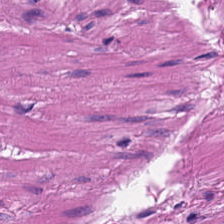Hematoxylin and eosin.
This field is smooth muscle.
